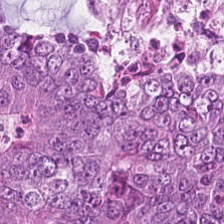H&E stain — Histology — malignant epithelium.
